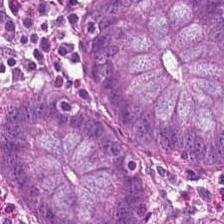H&E-stained tissue section; formalin-fixed paraffin-embedded section.
Predominantly non-neoplastic colon mucosa.
